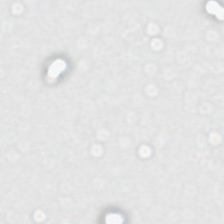H&E-stained tissue section — {"content": "background (no tissue)"}
